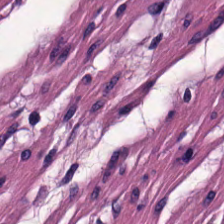0.5 microns per pixel. H&E. Predominantly smooth-muscle tissue.
